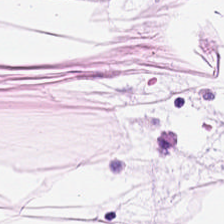H&E · 224×224 px tile · 20× equivalent magnification — Q: What does this patch show?
A: The field shows adipocytes.
